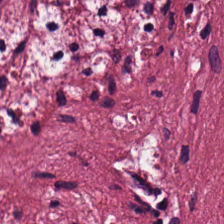{"tissue_type": "tumor stroma"}
